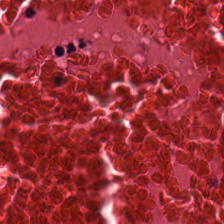H&E.
This field is necrotic debris.
